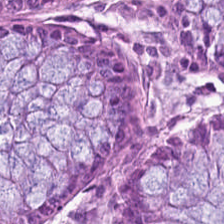FFPE · H&E · brightfield. The predominant tissue is benign colonic mucosa.
